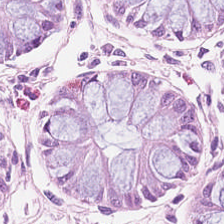0.5 microns per pixel · H&E. This patch shows benign colonic mucosa.
